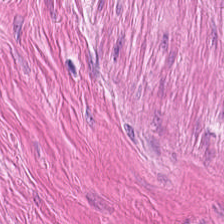H&E stain — Histology → muscularis.
